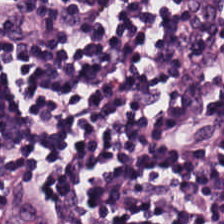The predominant tissue is lymphocytic infiltrate.
